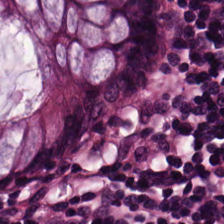0.5 microns per pixel · FFPE · hematoxylin and eosin.
This patch shows non-neoplastic colon mucosa.
